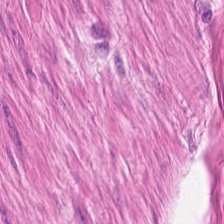Hematoxylin-and-eosin stained section. This patch shows muscularis.
